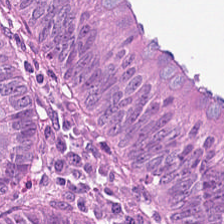Hematoxylin-and-eosin stained section — Showing colorectal adenocarcinoma epithelium.
